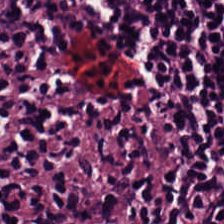Stain: hematoxylin and eosin.
Acquisition: brightfield.
Tile size: 224×224 px patch.
Tissue: lymphocytes.
